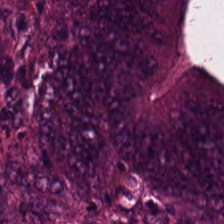Hematoxylin-and-eosin stained section.
The tissue here is malignant epithelium.
